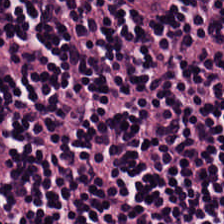0.5 µm per pixel. Hematoxylin and eosin. Formalin-fixed paraffin-embedded section. Lymphocyte aggregate.
